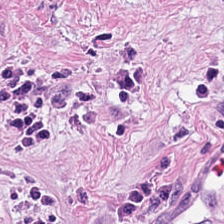Tissue type: desmoplastic stroma.
